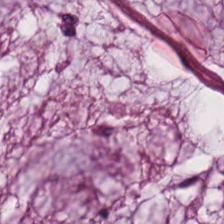Brightfield microscopy · hematoxylin-and-eosin stained section · 0.5 µm/px.
Classification: mucin.
